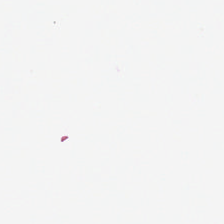H&E · 0.5 µm per pixel — The content is background.
